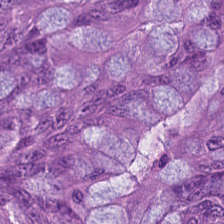FFPE tissue section · brightfield · H&E stain — Impression — colorectal adenocarcinoma.
